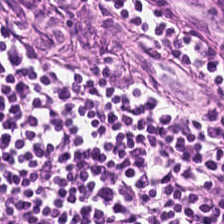224×224 px tile · hematoxylin-and-eosin stained section.
{"tissue_type": "lymphocytes"}
